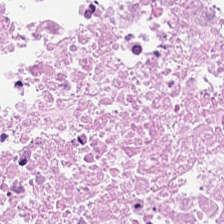224×224 px tile; brightfield microscopy; hematoxylin and eosin.
Tissue type = debris.
